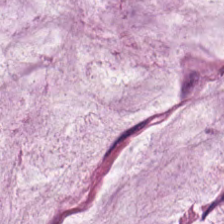H&E stain.
Tissue = mucus.
